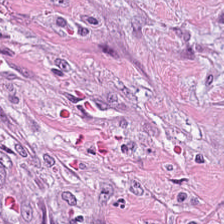224×224 px tile; H&E; 0.5 µm/px — The predominant tissue is tumor stroma.
